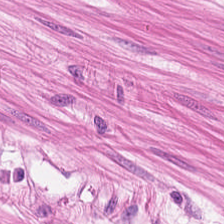Finding → smooth muscle.
